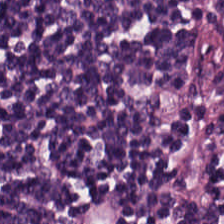20× equivalent magnification; FFPE tissue section; H&E — Classification: lymphocyte aggregate.
